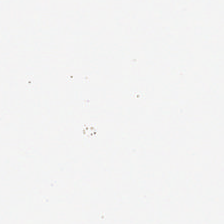Content = no tissue.
